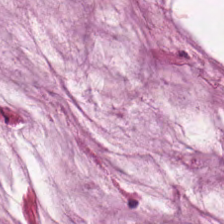The tissue class is mucin.
